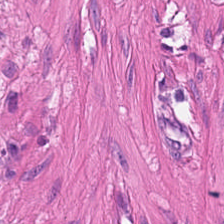H&E — Q: Classify this patch.
A: This is smooth-muscle tissue.
